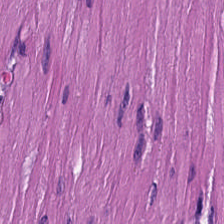Hematoxylin-and-eosin stained section; 224×224 px tile.
Predominantly smooth muscle.
